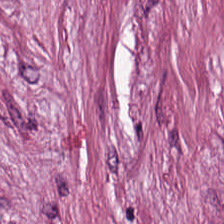H&E-stained tissue section — {"tissue_type": "tumor stroma"}
